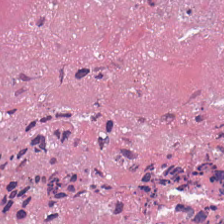H&E-stained tissue section.
Q: What tissue is shown?
A: Necrotic debris.
